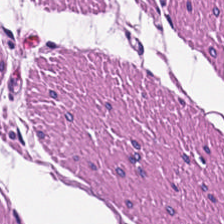H&E-stained tissue section — Tissue type — smooth-muscle tissue.
